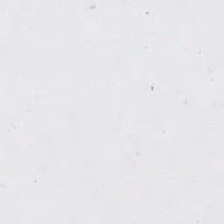Hematoxylin and eosin.
Field content: background (no tissue).
